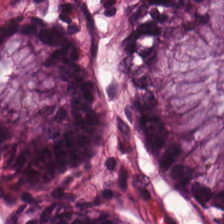H&E — Showing non-neoplastic colon mucosa.
